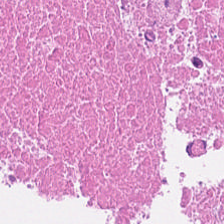Impression → debris.
